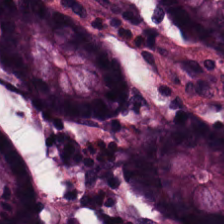The tissue is normal colon mucosa.
